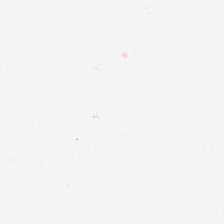H&E-stained tissue section; 224×224 px tile — Q: What is shown in this field?
A: Background.
